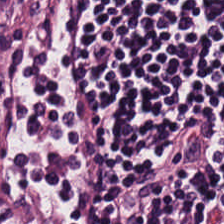Hematoxylin and eosin.
The tissue is lymphocytic infiltrate.
